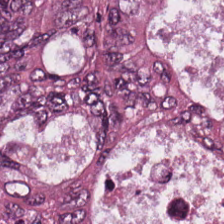224×224 px patch · hematoxylin and eosin. {"tissue_type": "adenocarcinoma"}
